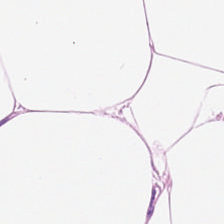H&E-stained tissue section — Predominantly adipose.
